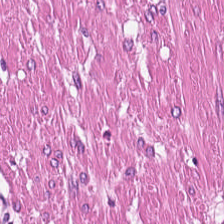Formalin-fixed paraffin-embedded section. Brightfield. H&E.
Tissue = smooth muscle.
